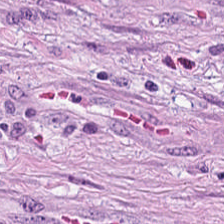H&E stain. Formalin-fixed paraffin-embedded section.
The tissue is tumor stroma.
